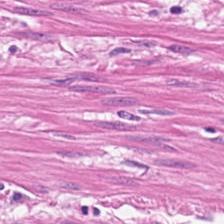H&E-stained section; the field shows smooth-muscle tissue.
